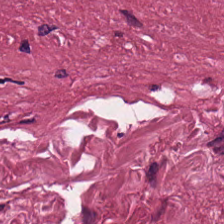Stain: H&E-stained tissue section.
Classification: tumor-associated stroma.
